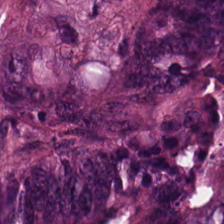0.5 microns per pixel. H&E stain.
Q: Classify this patch.
A: Tumor epithelium.
